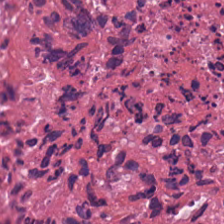Hematoxylin-and-eosin stained section.
Finding — cellular debris.
